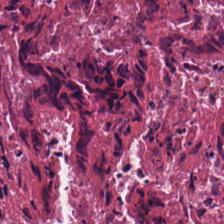The predominant tissue is cellular debris.
